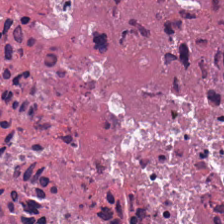H&E stain. Necrotic debris.
